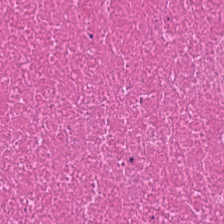Formalin-fixed paraffin-embedded section. H&E-stained tissue section. 224×224 pixel tile. Finding — cellular debris.
